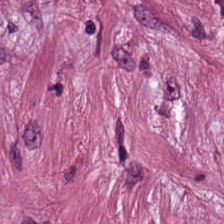Stain: hematoxylin-and-eosin stained section.
Tissue class: cancer-associated stroma.
